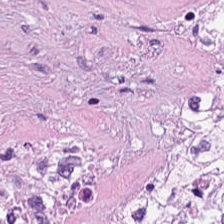H&E stain — Showing debris.
